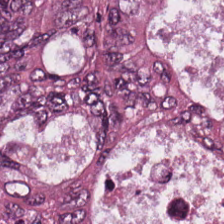H&E — Tissue: colorectal adenocarcinoma epithelium.
